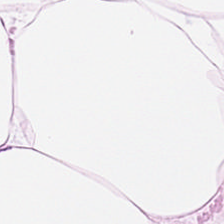Stain: H&E-stained tissue section.
Tissue type: adipose.
